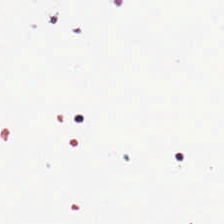Stain: hematoxylin and eosin.
Content: empty background.
